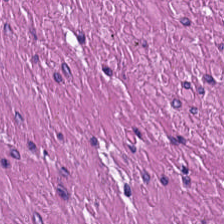FFPE tissue section. Hematoxylin and eosin. Brightfield — The predominant tissue is smooth muscle.
